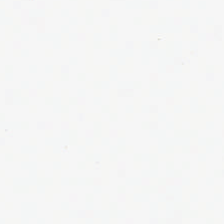224×224 px tile. H&E — Finding → empty background.
